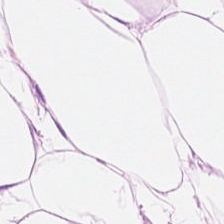Stain: H&E.
Tissue: adipocytes.
